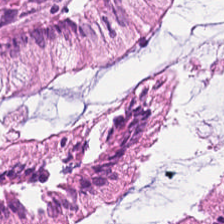0.5 µm per pixel · 224×224 px tile · H&E. The tissue here is benign colonic mucosa.
